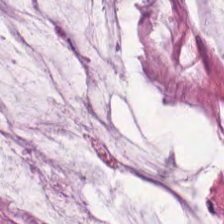Hematoxylin-and-eosin stained section. Extracellular mucin.
